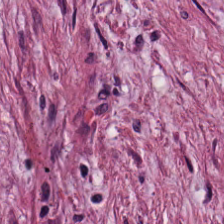Hematoxylin and eosin.
Tissue type — cancer-associated stroma.
